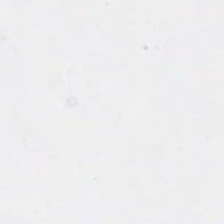Impression → no tissue.
